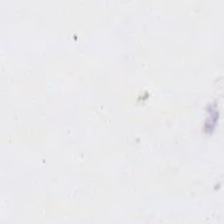Hematoxylin and eosin. Q: Classify this patch.
A: The field shows empty background.
